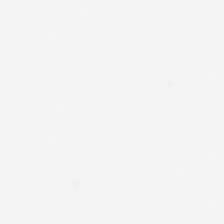Impression → empty background.
